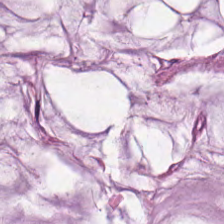Hematoxylin and eosin. 224×224 px patch — {"tissue_type": "mucus"}
